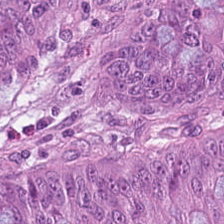Histology → colorectal adenocarcinoma epithelium.
